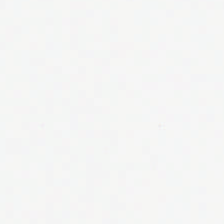No tissue present; background only.
